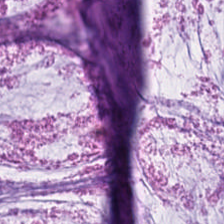Stain: hematoxylin-and-eosin stained section.
Tissue: mucin.
